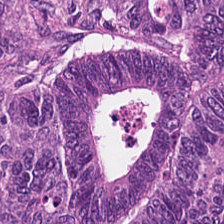Stain: H&E stain.
Tissue: malignant epithelium.
